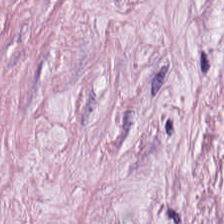Hematoxylin-and-eosin stained section. Histology → tumor-associated stroma.
